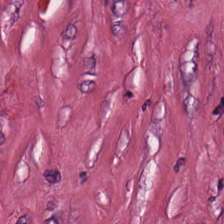H&E.
Cancer-associated stroma.
